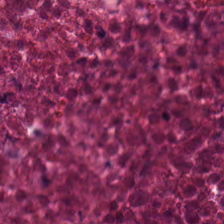H&E-stained tissue section; brightfield — Predominantly cellular debris.
